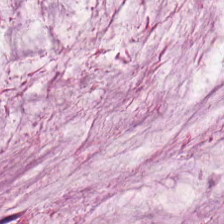Mucus.
